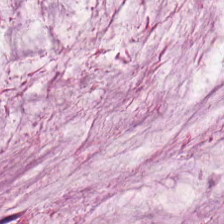Mucus.
